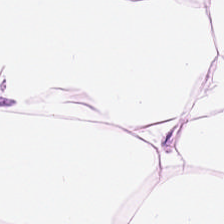Stain: H&E.
Tissue type: adipose tissue.
